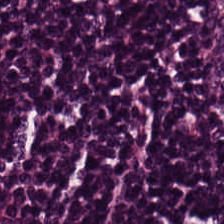Tissue — lymphocytic infiltrate.
